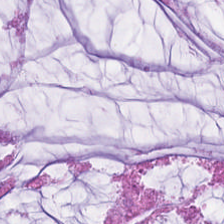H&E stain · formalin-fixed paraffin-embedded section · WSI patch. Mucin.
